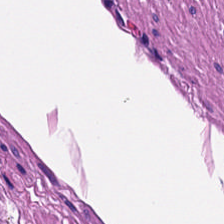Hematoxylin and eosin. The tissue here is muscularis.
